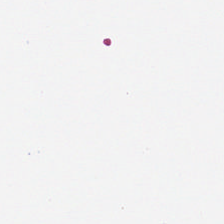Stain: hematoxylin-and-eosin stained section.
Resolution: 20× equivalent magnification.
Content: background (no tissue).
